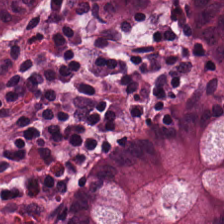H&E-stained tissue section. Predominantly benign colonic mucosa.
